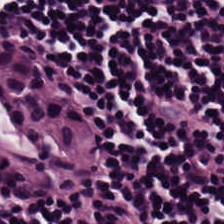H&E-stained tissue section showing lymphocytes.
